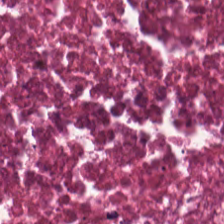Hematoxylin and eosin.
Classification: debris.
